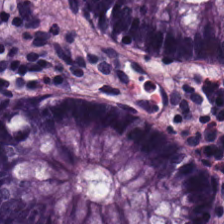H&E-stained tissue section — Tissue class = non-neoplastic colon mucosa.
